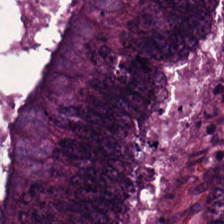The classification is colorectal adenocarcinoma epithelium.
